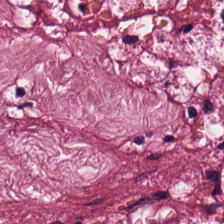Hematoxylin and eosin.
The tissue type is tumor-associated stroma.
